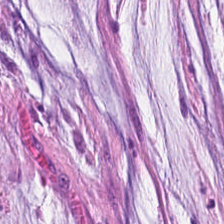0.5 microns per pixel. H&E stain. The tissue is mucus.
